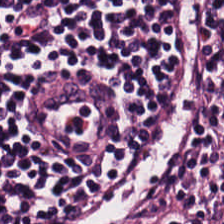WSI patch; H&E-stained tissue section; 0.5 µm per pixel — Histology — lymphocytes.
